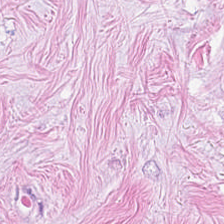Hematoxylin and eosin.
This patch shows desmoplastic stroma.
